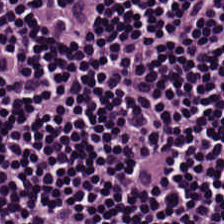Whole-slide-image patch · H&E stain · FFPE tissue section. The predominant tissue is lymphocytes.
